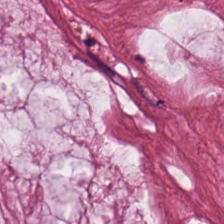Hematoxylin-and-eosin stained section — The tissue here is extracellular mucin.
